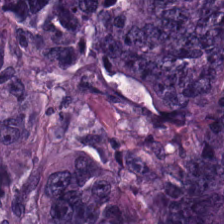Stain: hematoxylin-and-eosin stained section.
Predominant tissue: malignant epithelium.
